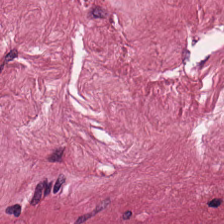FFPE tissue section · H&E-stained tissue section.
Q: What tissue is shown?
A: This is desmoplastic stroma.
